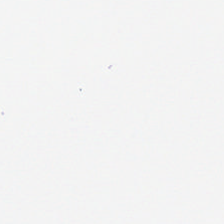FFPE. H&E. 224×224 px tile — This patch shows empty background.
